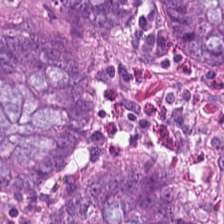H&E; 0.5 microns per pixel.
Tissue: normal colonic mucosa.
